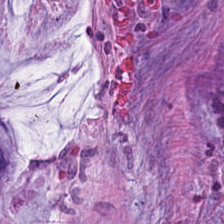The classification is mucin.
